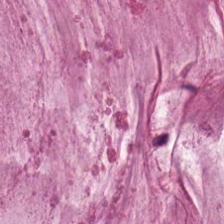Stain: hematoxylin-and-eosin stained section.
Tissue: mucin.
